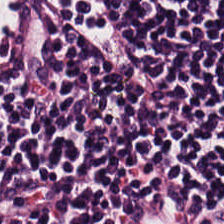Hematoxylin-and-eosin stained section. Tissue — lymphocyte aggregate.
